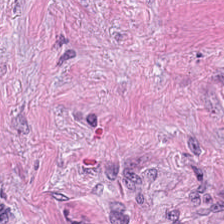{"tissue_type": "tumor stroma"}
